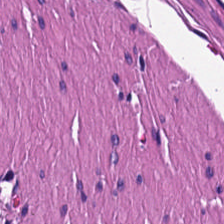H&E; brightfield microscopy; FFPE — Muscularis.
